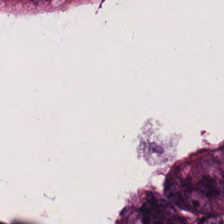224×224 px tile. WSI patch. H&E stain — Q: Identify the tissue.
A: Colorectal adenocarcinoma.
